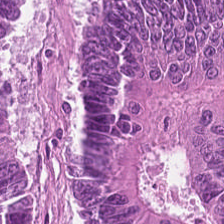Hematoxylin and eosin. 224×224 px tile. Brightfield microscopy — Q: Identify the tissue.
A: Malignant epithelium.
